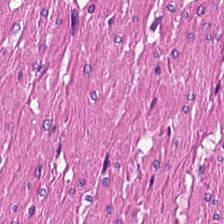Q: What tissue is shown?
A: The field shows smooth muscle.
